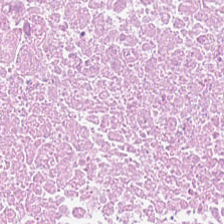Hematoxylin-and-eosin stained section. This patch shows necrotic debris.
